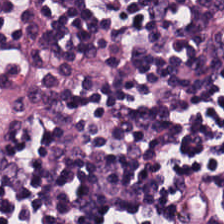H&E; whole-slide-image patch. Q: What does this patch show?
A: This is lymphoid infiltrate.
